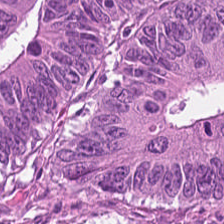224×224 px patch. 0.5 µm per pixel. Hematoxylin and eosin. This patch shows tumor epithelium.
